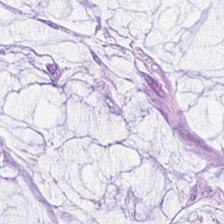{"tissue_type": "mucus"}
